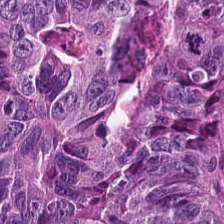The tissue here is malignant epithelium.
